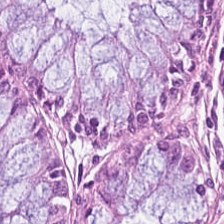H&E stain; 224×224 pixel tile. {"tissue_type": "non-neoplastic colon mucosa"}
